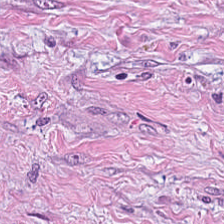H&E stain — Tumor-associated stroma.
